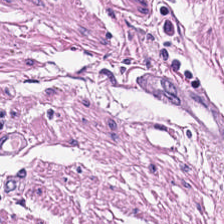0.5 µm/px · H&E stain.
Q: What is shown in this field?
A: The field shows muscularis.
